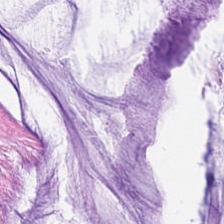Hematoxylin and eosin.
Q: What is shown here?
A: Extracellular mucin.
